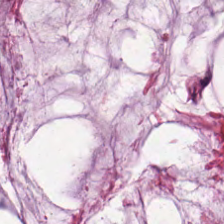H&E stain.
Predominantly mucus.
